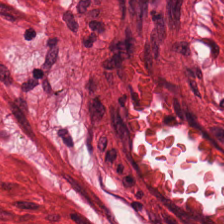Stain: H&E-stained tissue section.
Tissue type: muscularis.
